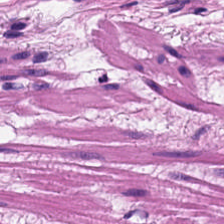H&E-stained tissue section — The tissue here is smooth muscle.
